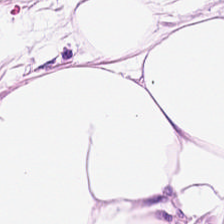Q: What does this patch show?
A: It is adipocytes.
